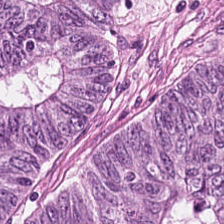H&E.
Q: What is shown in this field?
A: The field shows colorectal adenocarcinoma epithelium.
